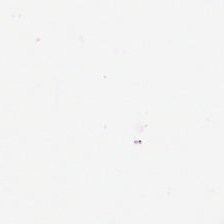This field is background (no tissue).
